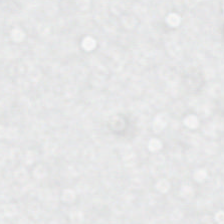Hematoxylin and eosin. Impression → empty background.
